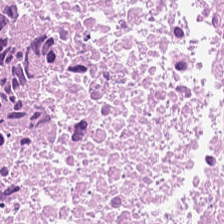This patch shows necrotic debris.
